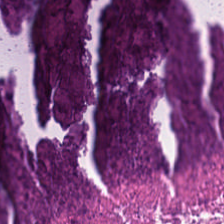H&E; 0.5 µm per pixel; 224×224 px patch — Q: Identify the tissue.
A: It is necrotic debris.
